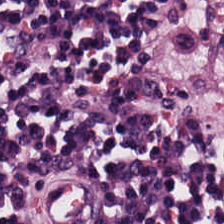224×224 px patch · brightfield microscopy · H&E. Q: What tissue type is shown here?
A: This is lymphocytic infiltrate.
